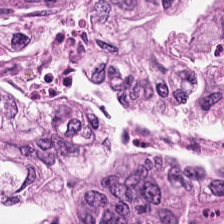Finding — colorectal adenocarcinoma.
